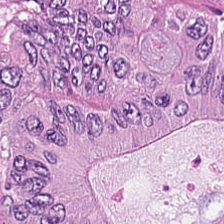H&E stain. Tissue — colorectal adenocarcinoma epithelium.
